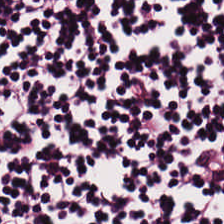H&E.
Q: Classify this patch.
A: The field shows lymphoid infiltrate.
